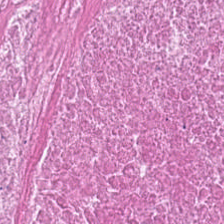Stain: H&E stain.
Predominant tissue: necrotic debris.
